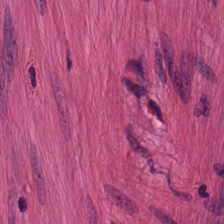Smooth-muscle tissue.
